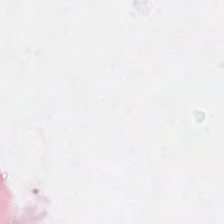Classification — empty background.
